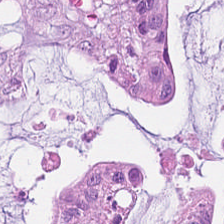Hematoxylin-and-eosin stained section — Mucin.
